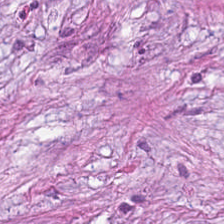H&E-stained tissue section; FFPE tissue section.
The tissue here is cancer-associated stroma.
